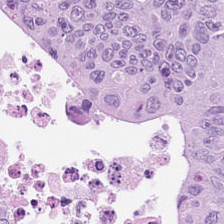Hematoxylin and eosin.
Impression — colorectal adenocarcinoma.
